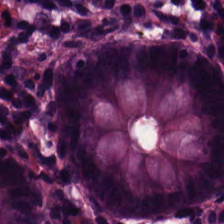Stain: hematoxylin-and-eosin stained section.
Tissue class: benign colonic mucosa.
